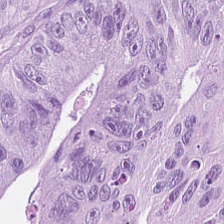Hematoxylin and eosin.
Classification: colorectal adenocarcinoma epithelium.
